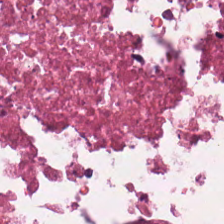Finding — debris.
